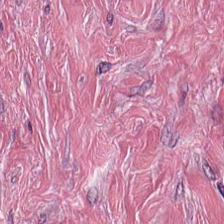0.5 µm/px · brightfield · H&E — Q: Identify the tissue.
A: It is cancer-associated stroma.
